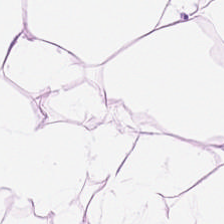Hematoxylin-and-eosin stained section; FFPE. This field is adipocytes.
